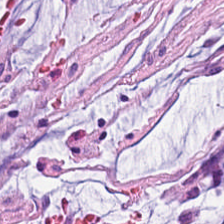H&E-stained tissue section.
Q: What is the predominant tissue type?
A: The field shows extracellular mucin.
